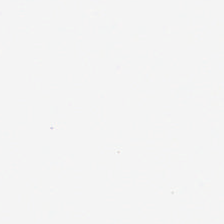Hematoxylin-and-eosin stained section — {"content": "background"}
